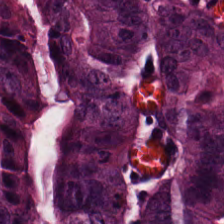Q: What does this patch show?
A: The field shows colorectal adenocarcinoma epithelium.
